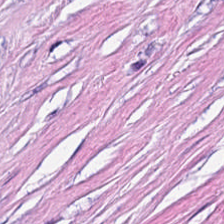H&E. Whole-slide-image patch. 0.5 µm per pixel. Finding — tumor stroma.
